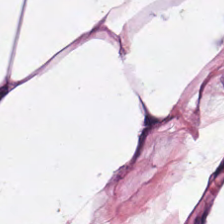H&E-stained tissue section. Formalin-fixed paraffin-embedded section — This field is adipose tissue.
